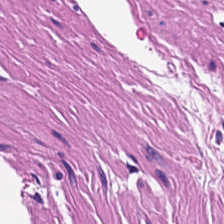Histology — muscularis.
